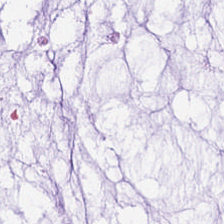H&E. Q: What tissue is shown?
A: This is mucus.
